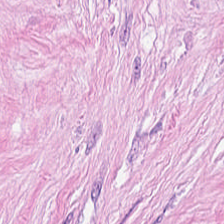H&E. The predominant tissue is desmoplastic stroma.
